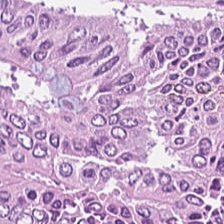Classification — adenocarcinoma.
